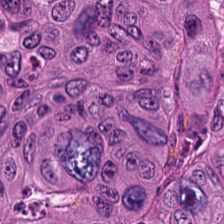H&E stain. 224×224 pixel tile.
Predominantly adenocarcinoma.
